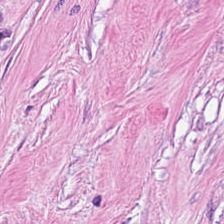H&E-stained tissue section — Impression — tumor-associated stroma.
